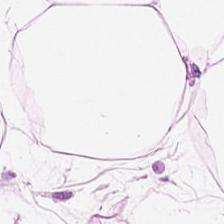H&E-stained tissue section — This field is adipose.
